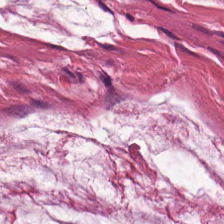Hematoxylin-and-eosin stained section.
Histology — mucus.
